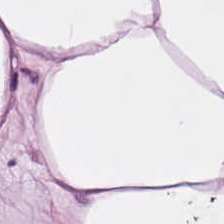H&E stain.
Tissue = adipose tissue.
